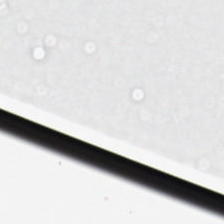Content — background.
